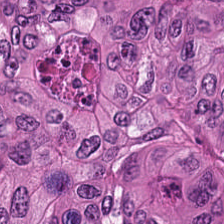Hematoxylin-and-eosin stained section; formalin-fixed paraffin-embedded section; 20× equivalent magnification.
Q: What is shown here?
A: The field shows adenocarcinoma.
